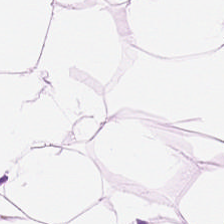H&E stain — {"tissue_type": "fat tissue"}
